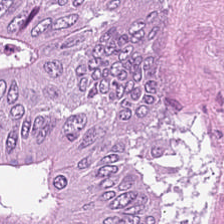Q: Identify the tissue.
A: It is adenocarcinoma.
